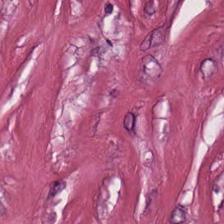Hematoxylin-and-eosin stained section — Histology → cancer-associated stroma.
